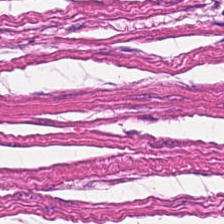FFPE tissue section; 0.5 microns per pixel; hematoxylin-and-eosin stained section. Smooth muscle.
